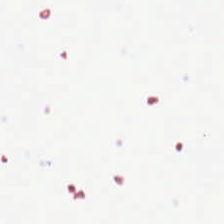Hematoxylin-and-eosin stained section. The content is no tissue.
